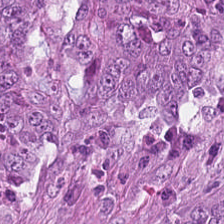H&E stain — The tissue here is malignant epithelium.
